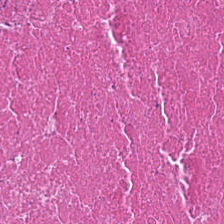Showing necrotic debris.
